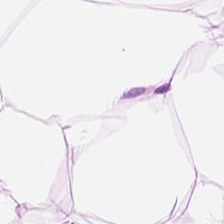H&E stain · FFPE · 0.5 µm/px — Showing fat tissue.
